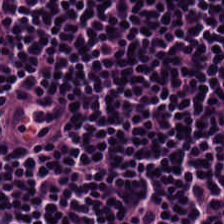Q: What is the predominant tissue type?
A: It is lymphocytic infiltrate.
